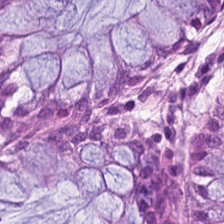H&E stain. Histology → normal colonic mucosa.
